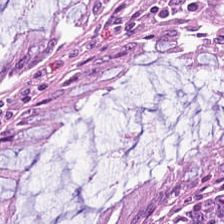H&E stain · 0.5 µm/px · formalin-fixed paraffin-embedded section. Q: What type of tissue is this?
A: This is non-neoplastic colon mucosa.
